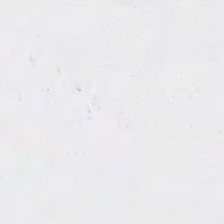Hematoxylin and eosin; 0.5 µm/px.
Background — no tissue in this field.
